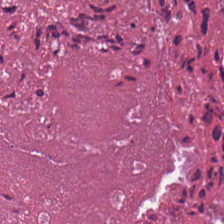0.5 µm/px; hematoxylin and eosin. Debris.
